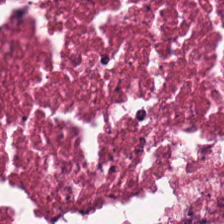H&E — cellular debris.
